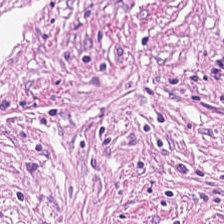This field is desmoplastic stroma.
